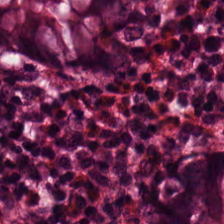Showing normal colonic mucosa.
